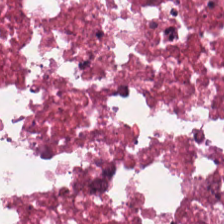Tissue type — debris.
